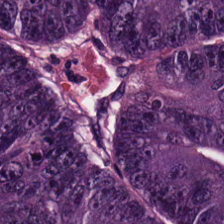H&E stain. Tissue type = colorectal adenocarcinoma epithelium.
